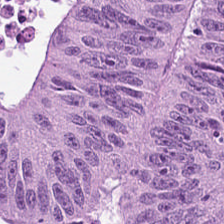H&E. Malignant epithelium.
